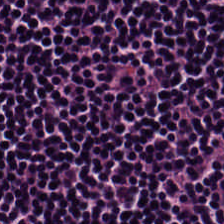Hematoxylin-and-eosin stained section. Formalin-fixed paraffin-embedded section.
Classification = lymphocyte aggregate.
